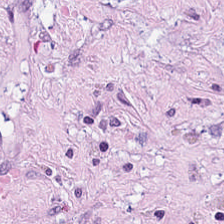H&E stain. Histology — tumor-associated stroma.
